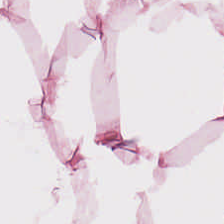H&E stain. Predominant tissue: adipose.
